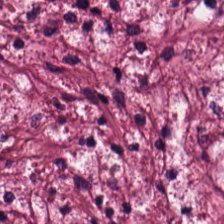Stain: H&E stain.
Predominant tissue: cancer-associated stroma.
